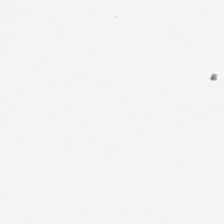Stain: hematoxylin and eosin.
Field content: background.
